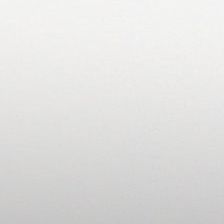Hematoxylin and eosin; 0.5 microns per pixel; brightfield microscopy.
This field is background (no tissue).
